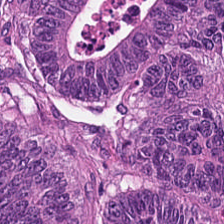H&E — malignant epithelium.
